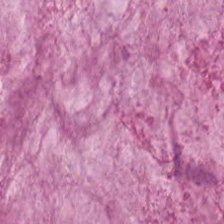Mucin.
